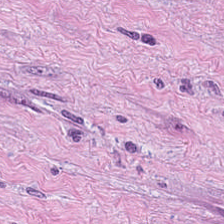H&E-stained tissue section — This patch shows desmoplastic stroma.
